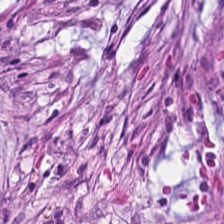Stain: hematoxylin-and-eosin stained section.
Tissue type: desmoplastic stroma.
